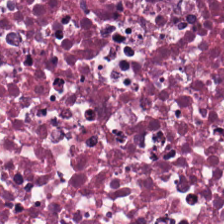Brightfield microscopy; H&E stain. Q: Identify the tissue.
A: Necrotic debris.
